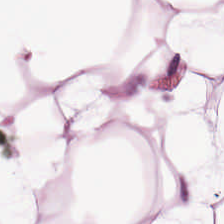H&E stain. 224×224 px tile.
Finding — fat tissue.
